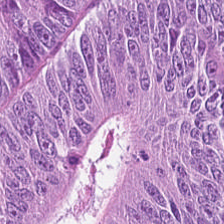H&E — The tissue here is adenocarcinoma.
